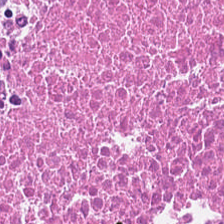0.5 µm per pixel; hematoxylin-and-eosin stained section.
This field is cellular debris.
